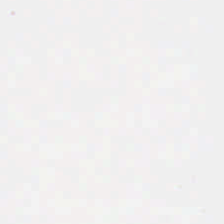H&E — Empty field — empty background.
